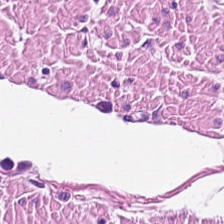H&E — smooth-muscle tissue.
